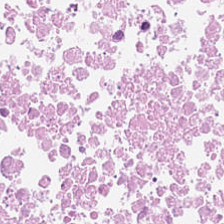Stain: H&E.
Classification: cellular debris.
